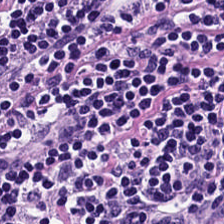Lymphocytes.
